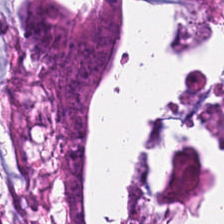Impression — adenocarcinoma.
